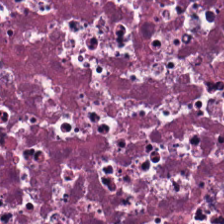Stain: hematoxylin and eosin.
Tile size: 224×224 px patch.
Classification: cellular debris.
